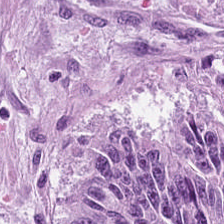Stain: H&E.
Tissue class: tumor epithelium.
